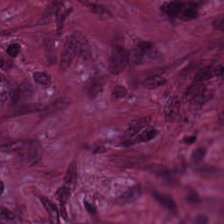H&E stain.
Classification — cancer-associated stroma.
